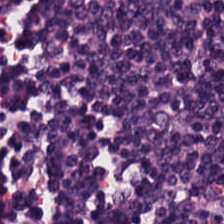Q: What tissue type is shown here?
A: It is lymphoid infiltrate.
